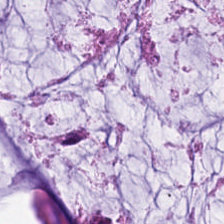Hematoxylin and eosin — This field is extracellular mucin.
